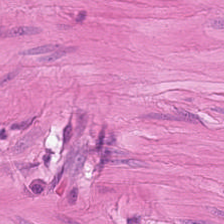H&E stain. Predominantly smooth muscle.
